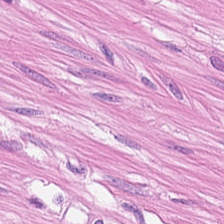H&E-stained tissue section; brightfield — This field is muscularis.
